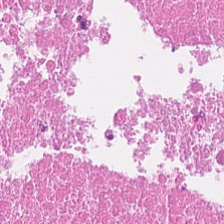H&E-stained tissue section.
The classification is cellular debris.
